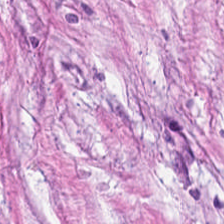Stain: H&E stain.
Predominant tissue: desmoplastic stroma.
